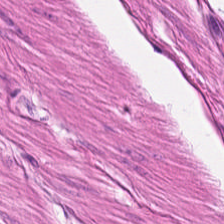Hematoxylin-and-eosin stained section · WSI patch.
Showing smooth-muscle tissue.
